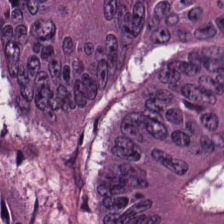H&E-stained tissue section. The predominant tissue is tumor epithelium.
